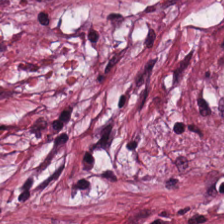H&E stain.
Tissue type — tumor-associated stroma.
